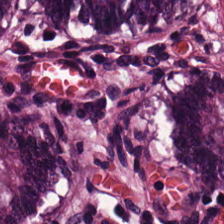Hematoxylin and eosin · FFPE.
Q: What tissue type is shown here?
A: It is benign colonic mucosa.
